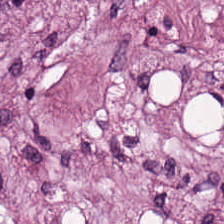Finding — cancer-associated stroma.
